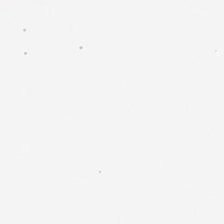Brightfield microscopy · hematoxylin-and-eosin stained section — Background (no tissue).
